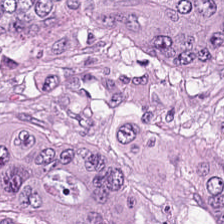FFPE tissue section; H&E. Q: What is shown in this field?
A: This is colorectal adenocarcinoma.
